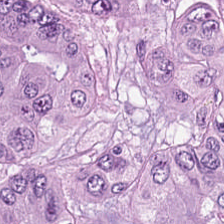H&E. {"tissue_type": "colorectal adenocarcinoma epithelium"}
